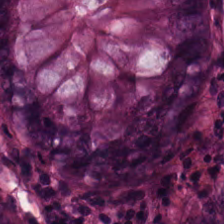H&E — normal colonic mucosa.
